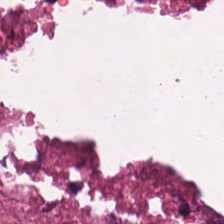Stain: hematoxylin and eosin.
Predominant tissue: cellular debris.
